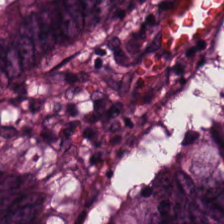Hematoxylin and eosin. The tissue here is malignant epithelium.
